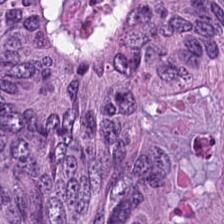H&E-stained section; the field shows colorectal adenocarcinoma.
